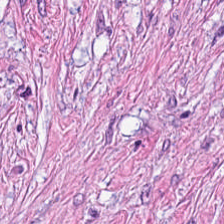{"tissue_type": "desmoplastic stroma"}
